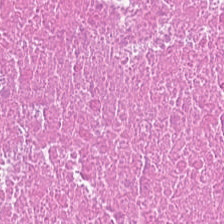224×224 px patch; formalin-fixed paraffin-embedded section; H&E. Finding — cellular debris.
